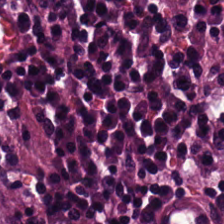Stain: H&E-stained tissue section.
Tissue class: malignant epithelium.
